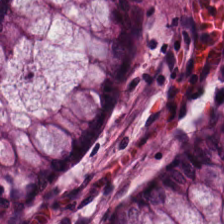Q: What is the predominant tissue type?
A: This is normal colon mucosa.
